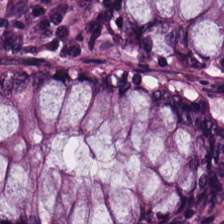H&E-stained tissue section showing benign colonic mucosa.
